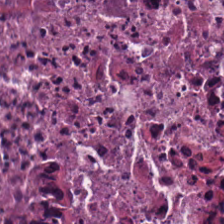Hematoxylin and eosin.
Classification — cellular debris.
